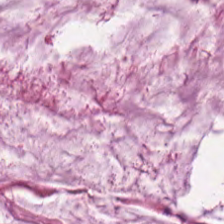H&E-stained tissue section. Q: What is shown in this field?
A: It is extracellular mucin.
